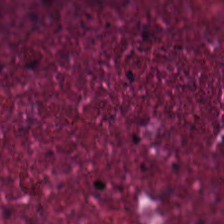H&E stain; 224×224 px patch; 20× equivalent magnification. Finding → necrotic debris.
